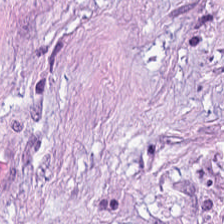H&E stain.
Tissue = desmoplastic stroma.
